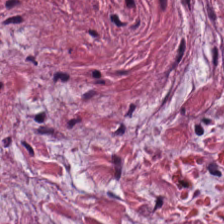Hematoxylin-and-eosin stained section. Formalin-fixed paraffin-embedded section.
Predominantly tumor-associated stroma.
